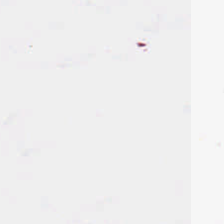FFPE tissue section; H&E; 0.5 µm per pixel. Background.
